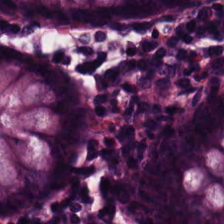224×224 px tile; H&E. This field is non-neoplastic colon mucosa.
